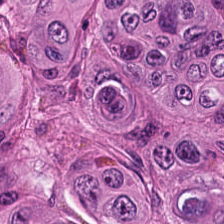Stain: H&E-stained tissue section.
Tissue: tumor epithelium.
